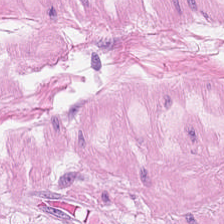Hematoxylin-and-eosin stained section. This field is muscularis.
